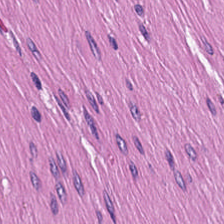H&E-stained tissue section; formalin-fixed paraffin-embedded section; 0.5 µm per pixel — The predominant tissue is muscularis.
